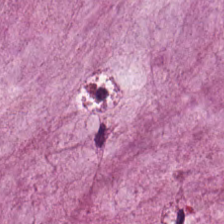Tissue = mucin.
